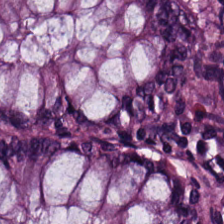Tissue type = benign colonic mucosa.
